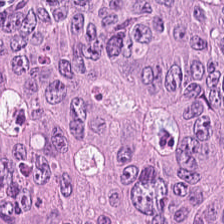H&E-stained tissue section — Showing tumor epithelium.
